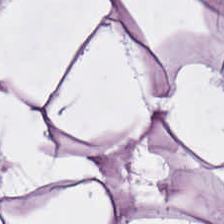H&E.
Predominant tissue: adipose.
